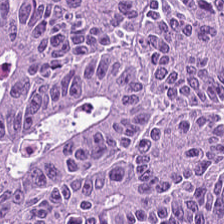H&E patch showing colorectal adenocarcinoma.
